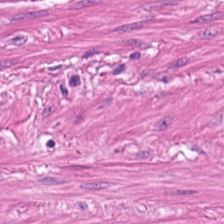224×224 px tile · H&E — Q: Identify the tissue.
A: The field shows smooth-muscle tissue.
